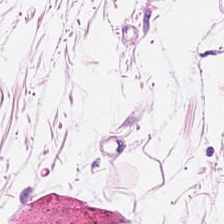Hematoxylin-and-eosin section: adipose tissue.
